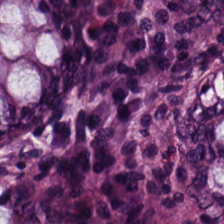Q: Classify this patch.
A: This is normal colon mucosa.
